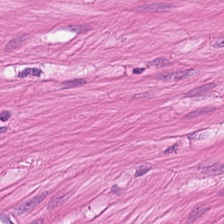H&E stain; 224×224 px tile; 20× equivalent magnification. The tissue class is smooth-muscle tissue.
